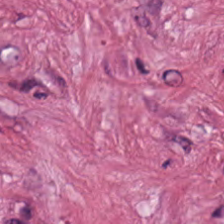Hematoxylin-and-eosin stained section — This field is tumor-associated stroma.
